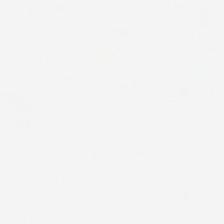Hematoxylin-and-eosin stained section · 224×224 pixel tile. Empty field — background (no tissue).
